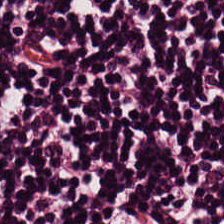Hematoxylin and eosin. 224×224 px patch.
Predominant tissue — lymphoid infiltrate.
